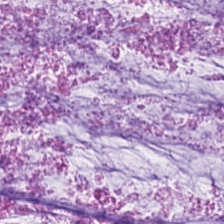H&E. 0.5 microns per pixel.
Tissue type = mucus.
